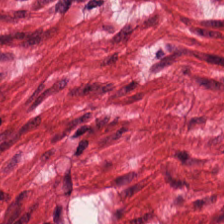224×224 pixel tile · hematoxylin and eosin.
This field is muscularis.
